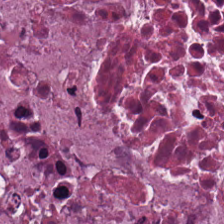Tissue type = necrotic debris.
